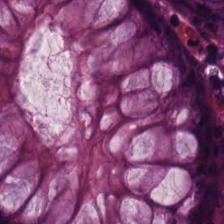Hematoxylin-and-eosin stained section. Tissue class = non-neoplastic colon mucosa.
